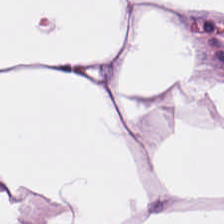Hematoxylin and eosin.
Fat tissue.
